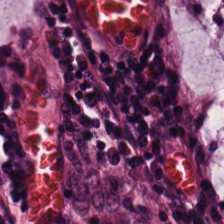{"tissue_type": "non-neoplastic colon mucosa"}
